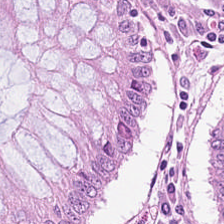Hematoxylin-and-eosin stained section. Whole-slide-image patch. Impression — non-neoplastic colon mucosa.
